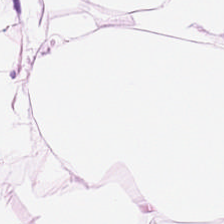Stain: H&E-stained tissue section.
Tissue class: fat tissue.
